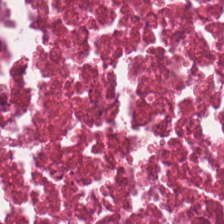H&E stain. Tissue class = necrotic debris.
